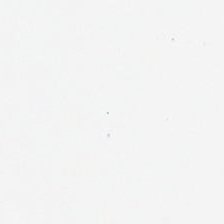Stain: H&E.
Content: empty background.
